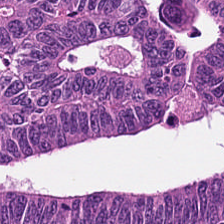H&E-stained tissue section; 224×224 px patch. Predominant tissue = adenocarcinoma.
